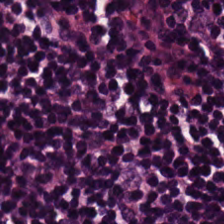Showing lymphocytes.
